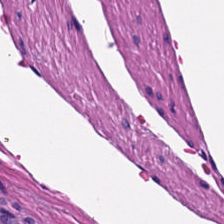Impression — muscularis.
